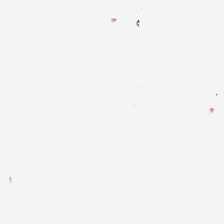Formalin-fixed paraffin-embedded section; 224×224 px tile; H&E stain. Impression — background (no tissue).
